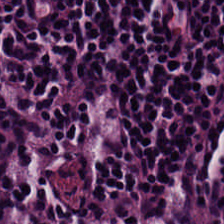H&E stain — Q: What type of tissue is this?
A: It is lymphocytic infiltrate.
